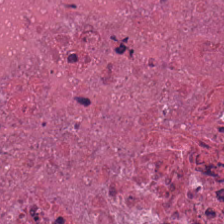Tissue — debris.
